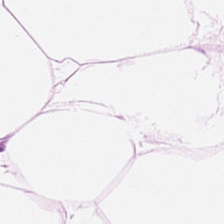224×224 px tile. H&E stain.
{"tissue_type": "adipose tissue"}
